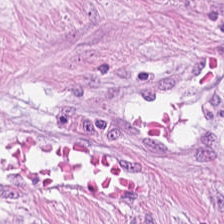Formalin-fixed paraffin-embedded section · hematoxylin and eosin.
Finding → desmoplastic stroma.
